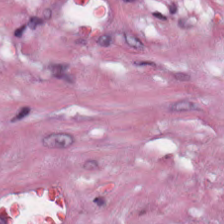H&E. 0.5 µm/px. Tumor-associated stroma.
